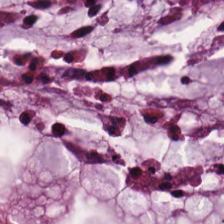WSI patch; H&E-stained tissue section; 224×224 px tile.
Showing mucus.
